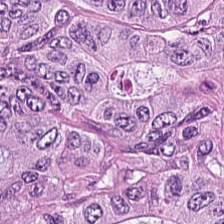FFPE; 224×224 px tile; hematoxylin and eosin — Q: What is shown in this field?
A: The field shows colorectal adenocarcinoma.
